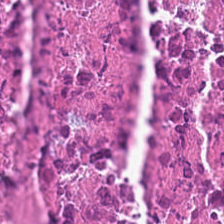Tissue: debris.
